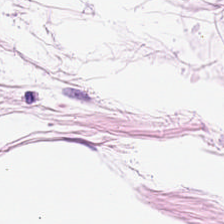Predominant tissue: adipocytes.
